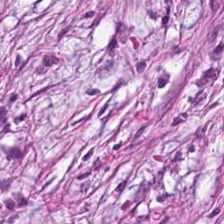Hematoxylin and eosin. Showing cancer-associated stroma.
